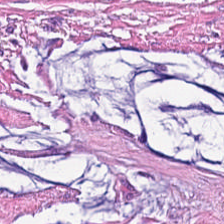H&E stain.
This patch shows tumor-associated stroma.
